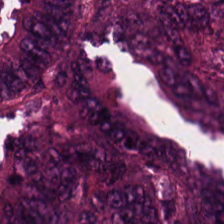WSI patch; hematoxylin-and-eosin stained section. Impression — malignant epithelium.
